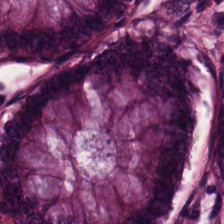H&E. Normal colonic mucosa.
